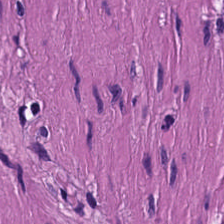Stain: H&E stain.
Tissue class: muscularis.
